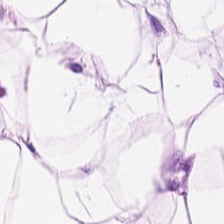H&E stain. 0.5 µm/px. Whole-slide-image patch — This field is adipocytes.
